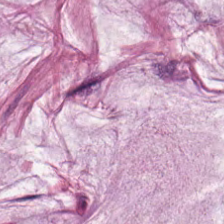Hematoxylin and eosin — Predominant tissue: extracellular mucin.
